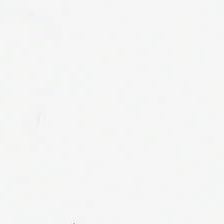Content: background (no tissue).
